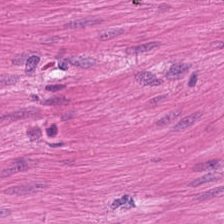Q: Classify this patch.
A: The field shows muscularis.
